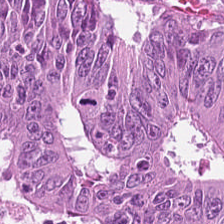0.5 µm per pixel. Hematoxylin-and-eosin stained section — Tumor epithelium.
